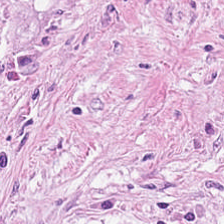H&E stain — Histology → desmoplastic stroma.
